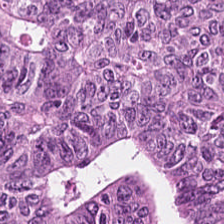20× equivalent magnification. Hematoxylin-and-eosin stained section. Formalin-fixed paraffin-embedded section. Classification — malignant epithelium.
